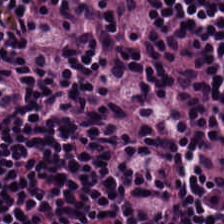FFPE tissue section · hematoxylin and eosin · brightfield.
The predominant tissue is lymphocyte aggregate.
